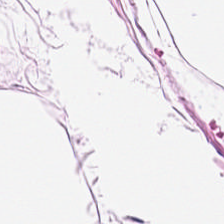The tissue type is fat tissue.
